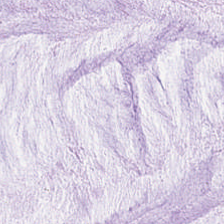Stain: H&E-stained tissue section.
Acquisition: brightfield microscopy.
Tissue class: mucin.
